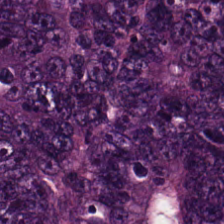Whole-slide-image patch. 20× equivalent magnification. H&E stain.
The tissue class is colorectal adenocarcinoma epithelium.
